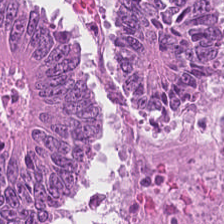Hematoxylin-and-eosin stained section. This field is tumor epithelium.
